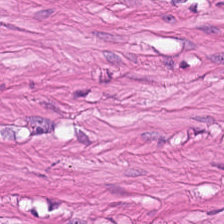Whole-slide-image patch. H&E. Histology → smooth muscle.
